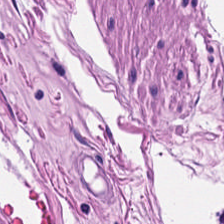Hematoxylin and eosin.
The predominant tissue is muscularis.
